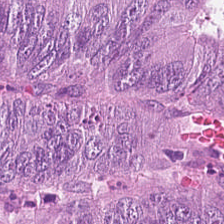The tissue class is colorectal adenocarcinoma.
